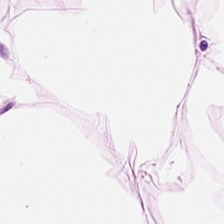H&E-stained tissue section — Q: Classify this patch.
A: This is adipocytes.
